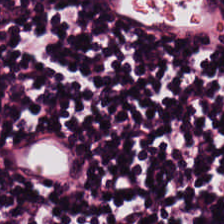H&E-stained tissue section; 224×224 px tile; 0.5 µm per pixel. The tissue here is lymphocyte aggregate.
